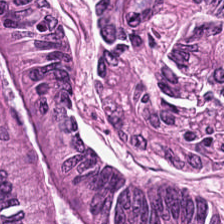Predominant tissue: malignant epithelium.
